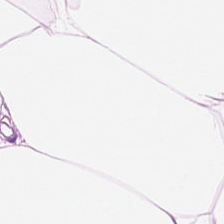Finding → adipocytes.
